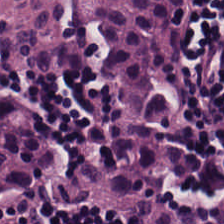H&E-stained tissue section — Tissue: lymphocytes.
